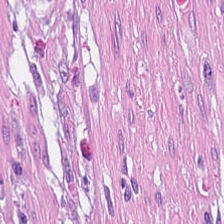This patch shows desmoplastic stroma.
